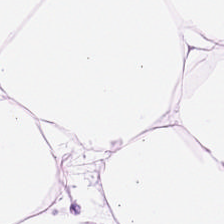Hematoxylin-and-eosin section: adipose.
